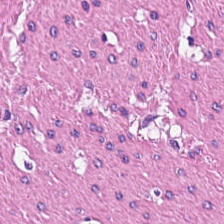WSI patch; H&E; FFPE — Tissue = smooth-muscle tissue.
